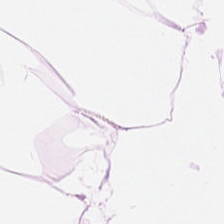{"tissue_type": "fat tissue"}
